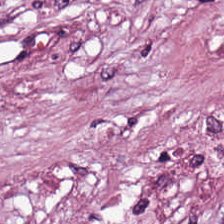Hematoxylin and eosin.
Tissue class = cancer-associated stroma.
